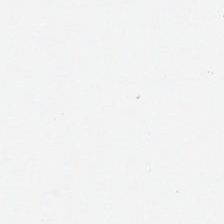Q: Classify this patch.
A: The field shows empty background.
